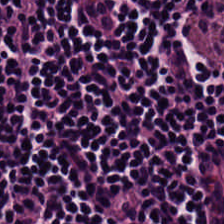The tissue is lymphocytes.
